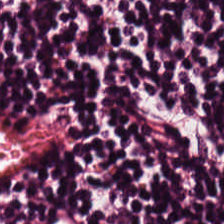Q: Identify the tissue.
A: The field shows lymphoid infiltrate.
